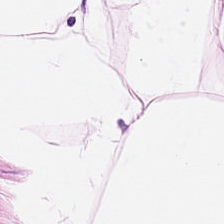Hematoxylin-and-eosin stained section — Q: What is shown here?
A: Adipose.
